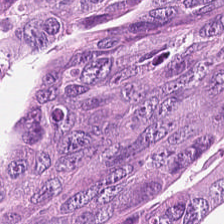H&E — Showing colorectal adenocarcinoma.
